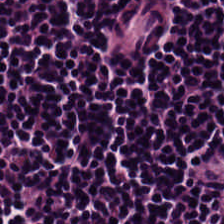H&E stain. WSI patch — Predominantly lymphocytic infiltrate.
